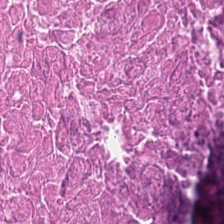Predominant tissue: debris.
